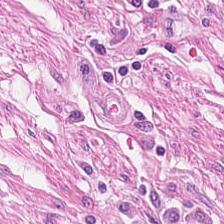224×224 px patch. H&E-stained tissue section. 0.5 µm per pixel. Tissue type — muscularis.
